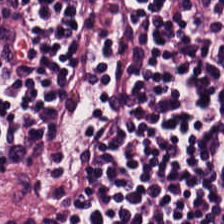Hematoxylin-and-eosin stained section — Histology — lymphoid infiltrate.
